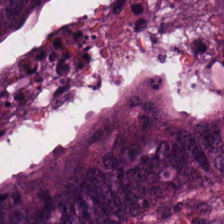Stain: hematoxylin-and-eosin stained section.
Tissue type: malignant epithelium.
